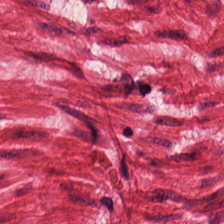Stain: H&E-stained tissue section.
Acquisition: brightfield microscopy.
Classification: smooth muscle.
